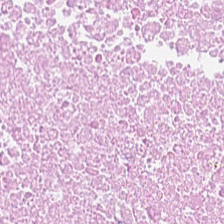FFPE; brightfield microscopy; hematoxylin-and-eosin stained section.
The tissue here is debris.
